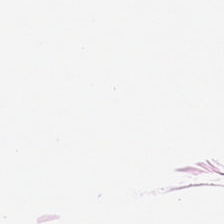Hematoxylin-and-eosin stained section.
Q: What is shown in this field?
A: It is adipose.
